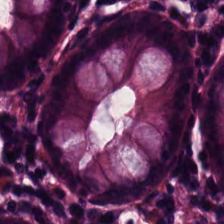H&E stain — The predominant tissue is benign colonic mucosa.
